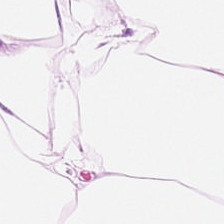224×224 px tile · H&E. Q: What is shown here?
A: The field shows adipocytes.
